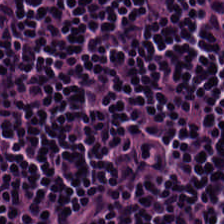Stain: hematoxylin and eosin.
Tissue: lymphocytes.
